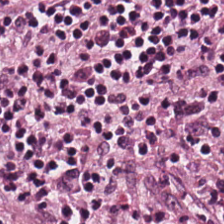The tissue here is lymphoid infiltrate.
